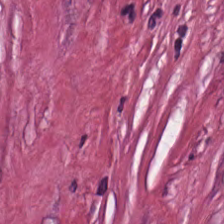Hematoxylin-and-eosin stained section — This patch shows tumor-associated stroma.
